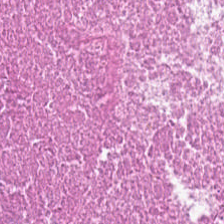FFPE; H&E stain — Tissue = necrotic debris.
